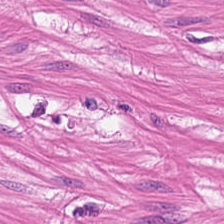0.5 µm per pixel · H&E-stained tissue section. Histology — smooth-muscle tissue.
